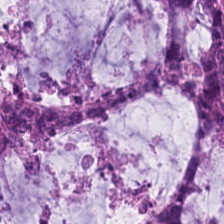Hematoxylin-and-eosin stained section. Mucin.
